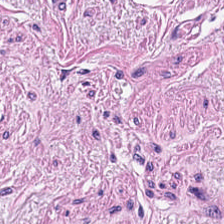H&E.
This patch shows smooth-muscle tissue.
